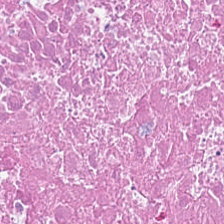The predominant tissue is necrotic debris.
